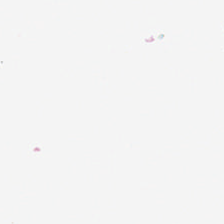224×224 pixel tile · H&E.
Field content — empty background.
